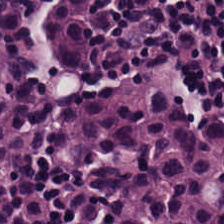Hematoxylin-and-eosin section: lymphocytic infiltrate.
